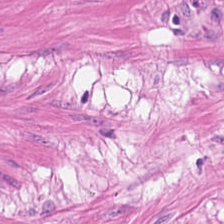FFPE tissue section. H&E. Brightfield microscopy — Tissue class = smooth muscle.
